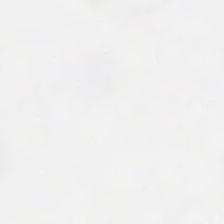Q: What is shown in this field?
A: Empty background.
